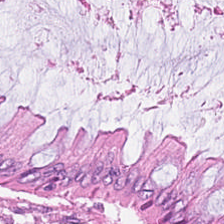Hematoxylin-and-eosin stained section. Showing normal colon mucosa.
